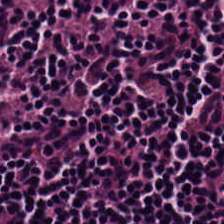H&E-stained tissue section. 224×224 pixel tile. The predominant tissue is lymphocytic infiltrate.
